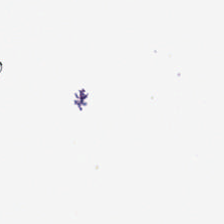Q: What is shown in this field?
A: It is empty background.
